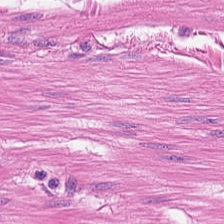Classification: smooth muscle.
